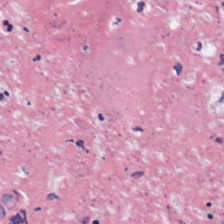Stain: H&E-stained tissue section.
Preparation: FFPE.
Predominant tissue: cellular debris.
